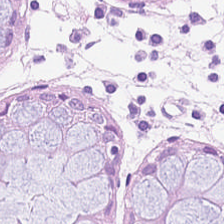Stain: H&E-stained tissue section.
Tile size: 224×224 px tile.
Classification: non-neoplastic colon mucosa.
